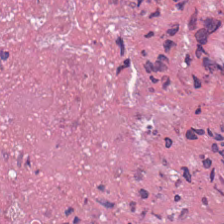H&E-stained tissue section; FFPE. Showing debris.
